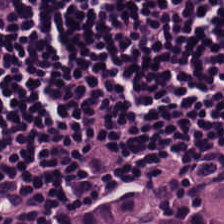Tissue type = lymphoid infiltrate.
